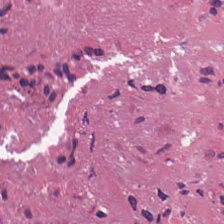H&E stain — The predominant tissue is cellular debris.
